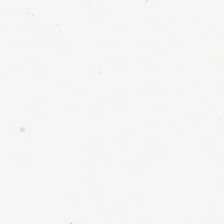Hematoxylin and eosin. Content — no tissue.
